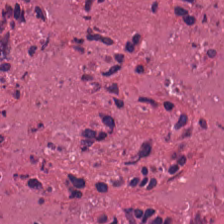Classification: necrotic debris.
